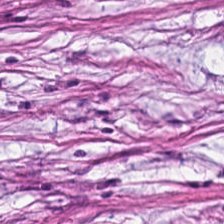0.5 µm/px. H&E-stained tissue section. 224×224 px tile — Q: Classify this patch.
A: The field shows cancer-associated stroma.
